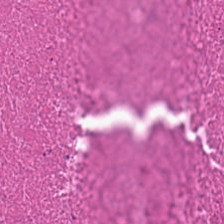WSI patch; H&E.
Q: What is shown in this field?
A: The field shows cellular debris.
